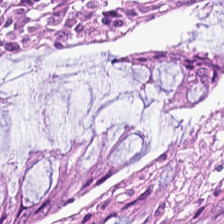H&E · brightfield microscopy — This field is normal colonic mucosa.
